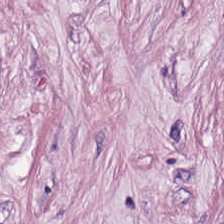Brightfield microscopy; hematoxylin and eosin.
This patch shows cancer-associated stroma.
